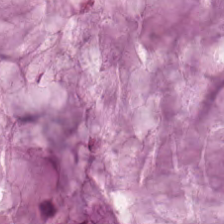The tissue class is mucus.
